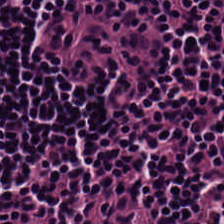Whole-slide-image patch; 0.5 microns per pixel; H&E — Impression — lymphocytic infiltrate.
